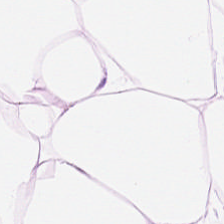Predominant tissue: adipose tissue.
